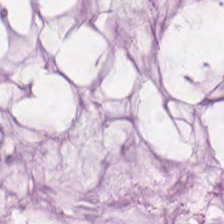Hematoxylin and eosin. Q: What is shown in this field?
A: Mucin.
